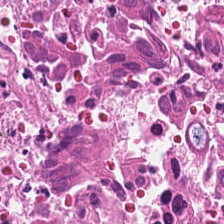H&E.
Q: What tissue type is shown here?
A: This is cellular debris.
